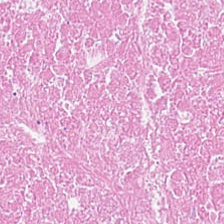H&E.
The tissue here is necrotic debris.
